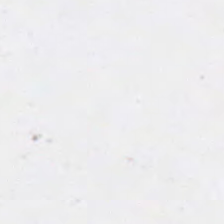Q: Classify this patch.
A: No tissue.
